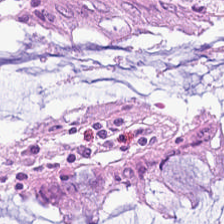Hematoxylin-and-eosin stained section. The predominant tissue is normal colonic mucosa.
